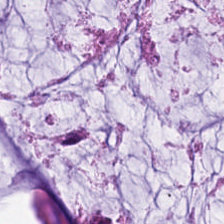224×224 px tile; WSI patch; H&E stain — Tissue class = mucus.
